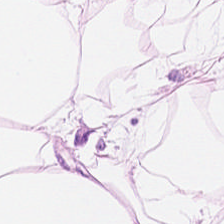Hematoxylin and eosin — The predominant tissue is fat tissue.
